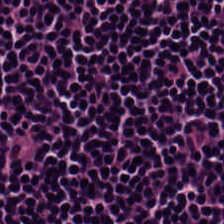Hematoxylin and eosin.
Q: What is the predominant tissue type?
A: This is lymphocytic infiltrate.
